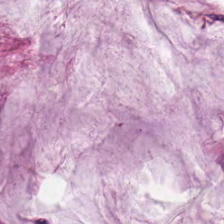H&E-stained section; the field shows mucus.
